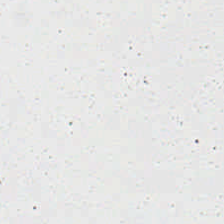Hematoxylin and eosin.
No tissue present; background only.
